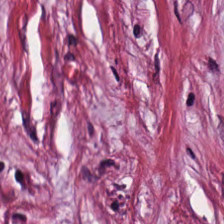224×224 px tile · H&E stain · FFPE. Tissue type = cancer-associated stroma.
